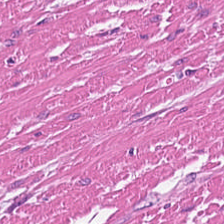Hematoxylin-and-eosin stained section · 20× equivalent magnification. Tissue type — muscularis.
